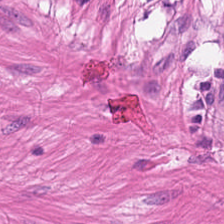H&E-stained tissue section. 20× equivalent magnification.
Predominantly muscularis.
